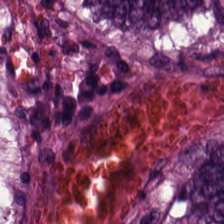Hematoxylin-and-eosin stained section · WSI patch · 224×224 pixel tile. This patch shows colorectal adenocarcinoma epithelium.
